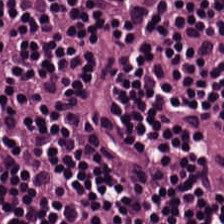Brightfield microscopy · hematoxylin-and-eosin stained section.
The tissue type is lymphocytic infiltrate.
